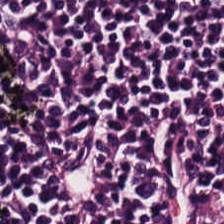H&E stain. Tissue: lymphocytes.
